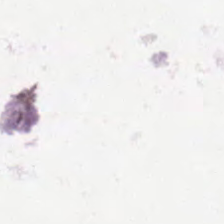H&E. Histology → background (no tissue).
